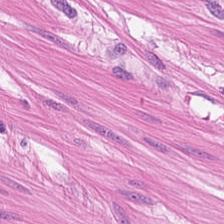H&E-stained tissue section. 0.5 µm per pixel.
The tissue here is muscularis.
